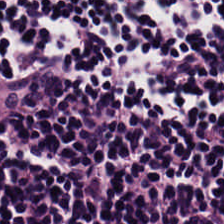Stain: H&E stain.
Classification: lymphoid infiltrate.
